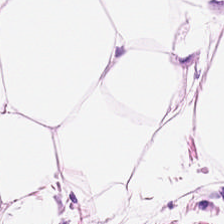H&E — Showing adipocytes.
